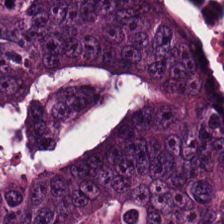H&E · brightfield.
The predominant tissue is colorectal adenocarcinoma epithelium.
